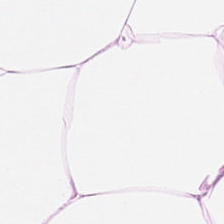Hematoxylin and eosin · FFPE tissue section · 0.5 µm/px.
Predominantly adipose tissue.
